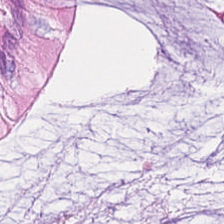Predominant tissue = normal colonic mucosa.
